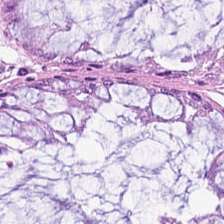H&E. 224×224 px patch — Tissue class = normal colonic mucosa.
